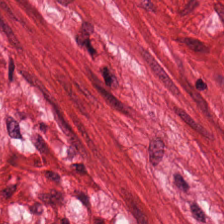The predominant tissue is smooth muscle.
